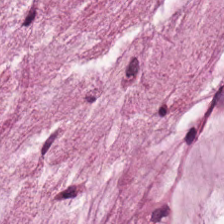Hematoxylin and eosin.
Classification = mucin.
